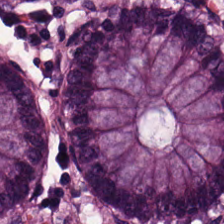Brightfield; hematoxylin and eosin. Q: What is the predominant tissue type?
A: This is normal colonic mucosa.
